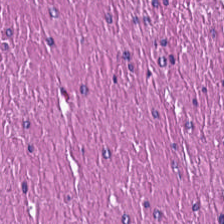This field is smooth-muscle tissue.
